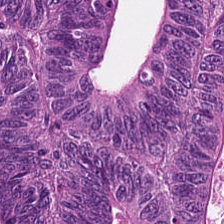Finding — colorectal adenocarcinoma.
